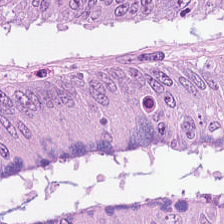Hematoxylin and eosin.
Predominant tissue: adenocarcinoma.
